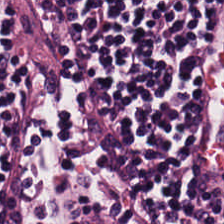Stain: hematoxylin-and-eosin stained section.
Preparation: FFPE tissue section.
Tissue class: lymphocyte aggregate.
